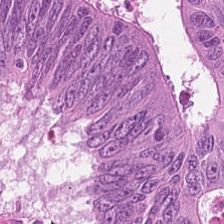H&E stain.
{"tissue_type": "colorectal adenocarcinoma"}
